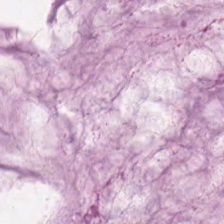Brightfield microscopy · hematoxylin and eosin.
Histology — extracellular mucin.
